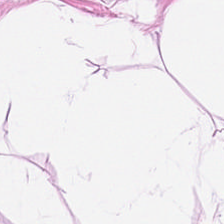Predominantly adipocytes.
